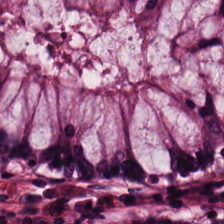Stain: H&E-stained tissue section.
Tissue class: non-neoplastic colon mucosa.
